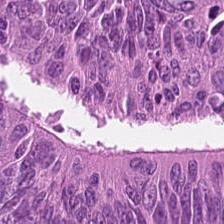H&E-stained tissue section · FFPE. Tissue type = tumor epithelium.
